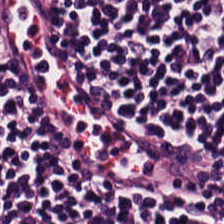Hematoxylin and eosin — Predominantly lymphoid infiltrate.
